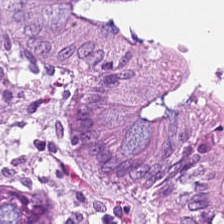Formalin-fixed paraffin-embedded section · H&E · brightfield microscopy.
This patch shows benign colonic mucosa.
